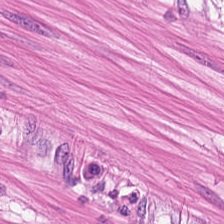224×224 pixel tile. H&E-stained tissue section. FFPE tissue section. The tissue here is muscularis.
